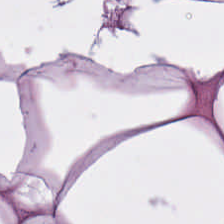Q: What type of tissue is this?
A: Adipocytes.
